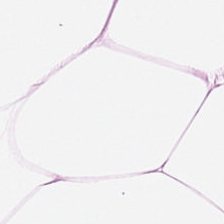H&E. 224×224 px tile. Showing adipocytes.
